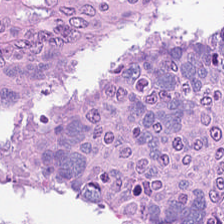Formalin-fixed paraffin-embedded section · H&E stain.
The predominant tissue is colorectal adenocarcinoma epithelium.
